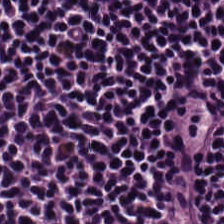Hematoxylin-and-eosin stained section.
Q: What is shown here?
A: Lymphocytic infiltrate.
